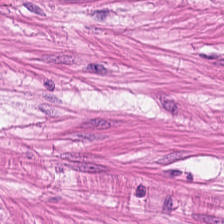0.5 microns per pixel. Hematoxylin and eosin — The predominant tissue is muscularis.
